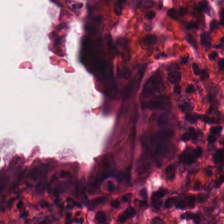Impression → non-neoplastic colon mucosa.
